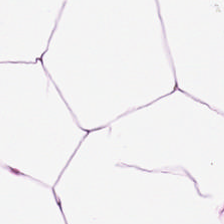0.5 µm/px. FFPE. Hematoxylin-and-eosin stained section. Predominant tissue — adipose tissue.
